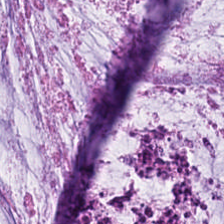Hematoxylin-and-eosin stained section — Histology → extracellular mucin.
